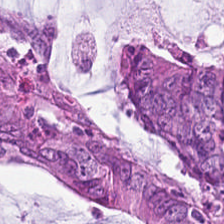Stain: H&E stain.
Tissue: malignant epithelium.
